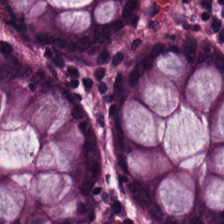Hematoxylin-and-eosin stained section; 224×224 px tile — Finding → benign colonic mucosa.
